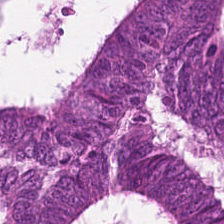H&E — Histology — adenocarcinoma.
